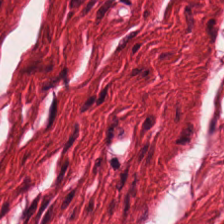H&E. 224×224 px patch. Q: What tissue is shown?
A: This is smooth-muscle tissue.
